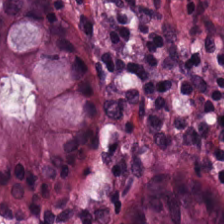Histology — benign colonic mucosa.
